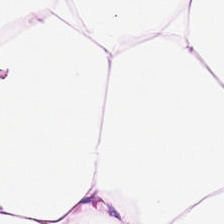H&E-stained tissue section — Predominantly adipocytes.
